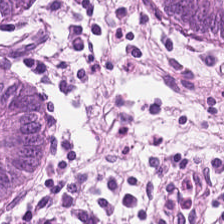This patch shows normal colon mucosa.
